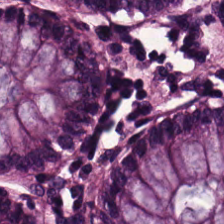Hematoxylin and eosin. The predominant tissue is normal colon mucosa.
